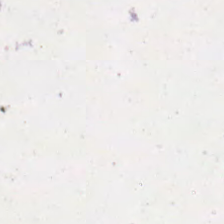0.5 microns per pixel · WSI patch · H&E stain. The field content is empty background.
